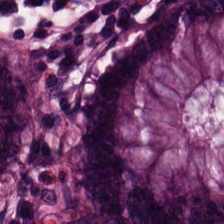H&E — This patch shows normal colon mucosa.
